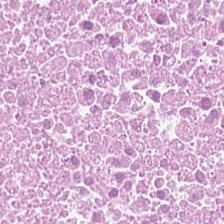Brightfield microscopy · hematoxylin-and-eosin stained section — This patch shows necrotic debris.
